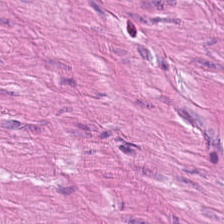H&E-stained tissue section. Formalin-fixed paraffin-embedded section.
Predominant tissue: smooth-muscle tissue.
